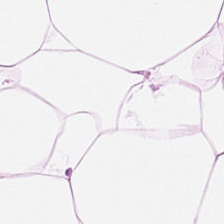224×224 px tile; H&E stain. Predominant tissue = adipose tissue.
